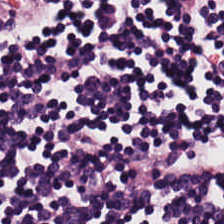Hematoxylin and eosin.
Impression — lymphocyte aggregate.
